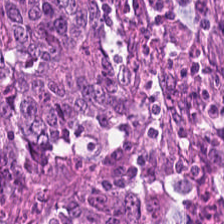0.5 µm per pixel; H&E — {"tissue_type": "malignant epithelium"}
